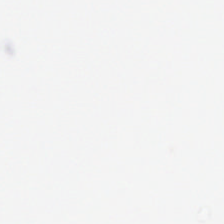Background — no tissue in this field.
